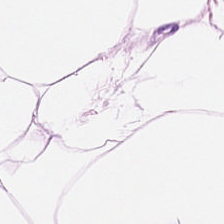H&E-stained tissue section; 0.5 µm per pixel. The tissue type is adipose.
